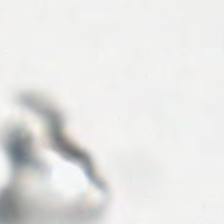Brightfield microscopy. H&E-stained tissue section.
No tissue present; background only.
